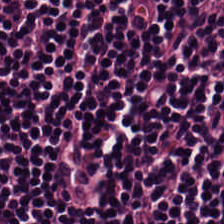0.5 microns per pixel · hematoxylin-and-eosin stained section · FFPE. Finding → lymphocytic infiltrate.
